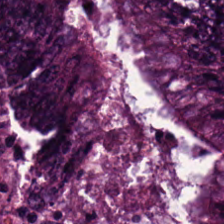H&E — Predominantly tumor epithelium.
